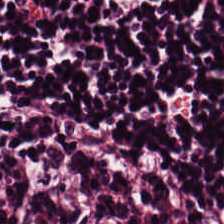H&E stain. Predominant tissue: lymphocytic infiltrate.
